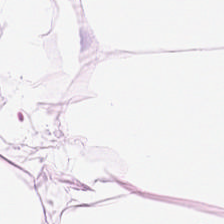Stain: H&E stain.
Tile size: 224×224 pixel tile.
Predominant tissue: adipose.
